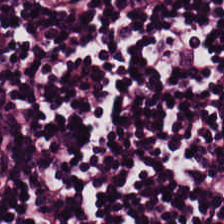Tissue type = lymphoid infiltrate.
